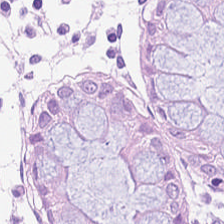0.5 µm per pixel. Hematoxylin and eosin.
Finding — normal colonic mucosa.
